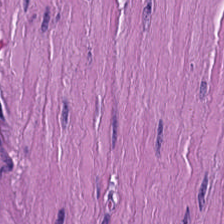H&E-stained tissue section — This patch shows smooth muscle.
